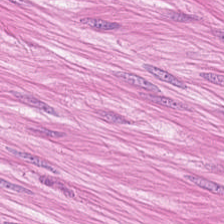20× equivalent magnification. 224×224 px tile. H&E — This field is smooth-muscle tissue.
